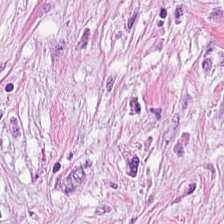Stain: hematoxylin and eosin.
Acquisition: whole-slide-image patch.
Classification: tumor stroma.
